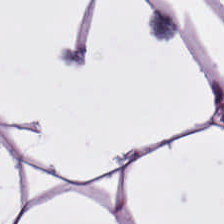WSI patch · H&E stain · 224×224 px patch.
Impression — adipose tissue.
